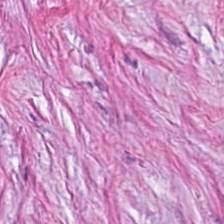H&E — Predominantly tumor-associated stroma.
